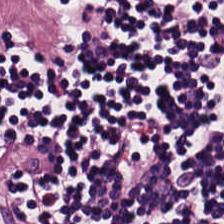H&E stain; 224×224 px tile.
Q: What tissue is shown?
A: The field shows lymphocytic infiltrate.
